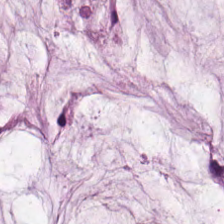0.5 microns per pixel; WSI patch; hematoxylin and eosin — Predominantly mucin.
